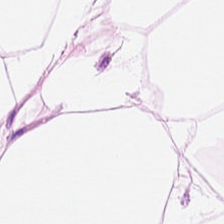H&E stain — Adipose tissue.
